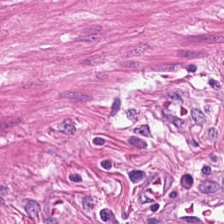The classification is smooth muscle.
